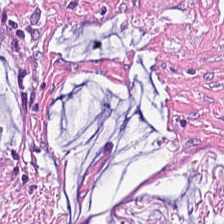Impression → desmoplastic stroma.
